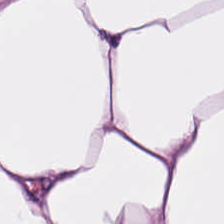H&E stain — Adipose.
